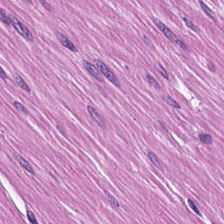0.5 microns per pixel. H&E stain — Classification: smooth muscle.
